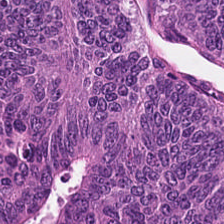Tissue type: malignant epithelium.
